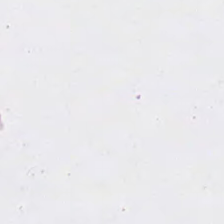H&E.
No tissue present; background only.
